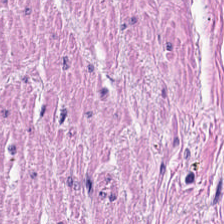{"tissue_type": "muscularis"}
